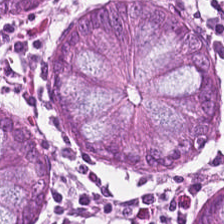Stain: hematoxylin and eosin.
Resolution: 20× equivalent magnification.
Tissue: normal colon mucosa.
